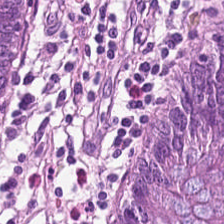Hematoxylin-and-eosin stained section. {"tissue_type": "non-neoplastic colon mucosa"}
